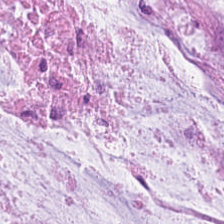H&E stain.
Q: What type of tissue is this?
A: The field shows extracellular mucin.
